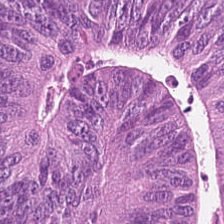Hematoxylin and eosin.
Tissue — tumor epithelium.
